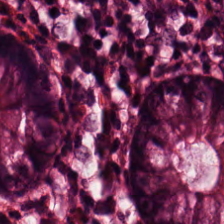H&E.
Impression — normal colonic mucosa.
